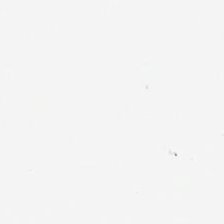Finding — empty background.
